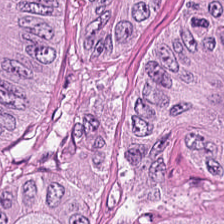Hematoxylin-and-eosin stained section. Q: What is shown here?
A: The field shows adenocarcinoma.
